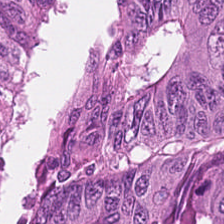Classification = adenocarcinoma.
